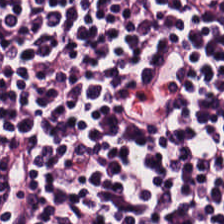Stain: hematoxylin-and-eosin stained section.
Classification: lymphocytes.
